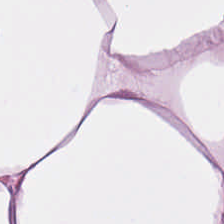H&E. Q: What is shown here?
A: It is adipocytes.
